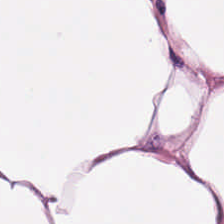Stain: H&E stain.
Acquisition: whole-slide-image patch.
Resolution: 20× equivalent magnification.
Tissue type: fat tissue.
